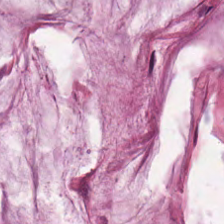Hematoxylin and eosin. Q: What tissue is shown?
A: This is mucus.
